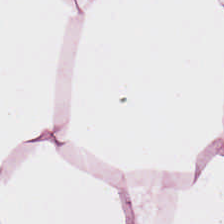Brightfield microscopy. Formalin-fixed paraffin-embedded section. H&E stain — This field is adipose tissue.
